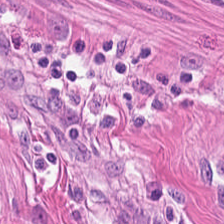H&E-stained tissue section — Q: What is the predominant tissue type?
A: Muscularis.
